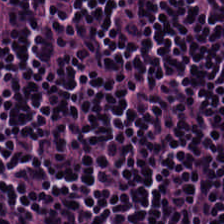Hematoxylin-and-eosin stained section; 224×224 px tile; FFPE tissue section — Predominantly lymphoid infiltrate.
